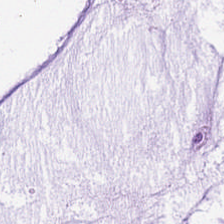H&E stain. Finding → mucin.
